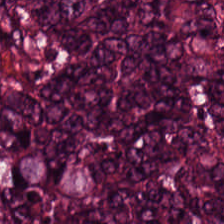Hematoxylin-and-eosin stained section. Tissue class = adenocarcinoma.
